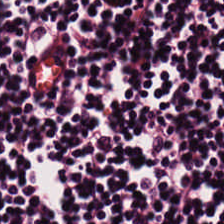Showing lymphocyte aggregate.
